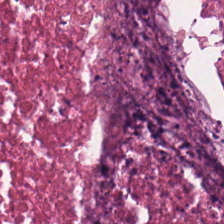Impression → debris.
